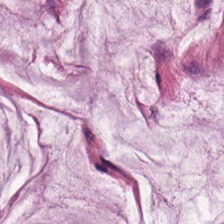H&E patch showing extracellular mucin.
